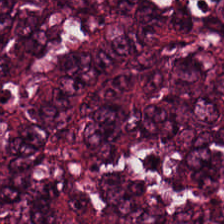Stain: hematoxylin-and-eosin stained section.
Tissue: tumor epithelium.
